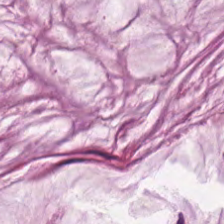Hematoxylin-and-eosin stained section. FFPE tissue section — Tissue: mucin.
